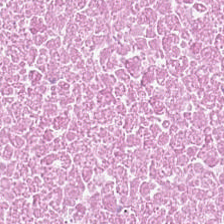Showing necrotic debris.
